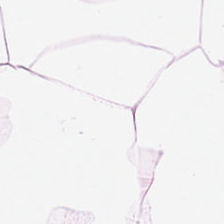H&E; 0.5 µm/px. Classification: fat tissue.
